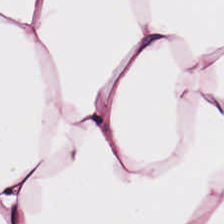Showing fat tissue.
